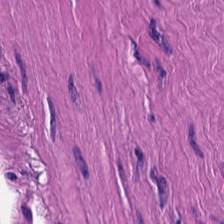Histology — smooth muscle.
